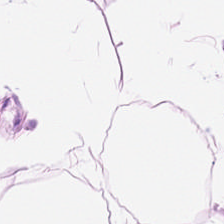Hematoxylin-and-eosin stained section · WSI patch. Q: What tissue is shown?
A: It is adipose tissue.
